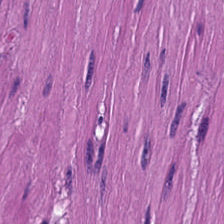Hematoxylin and eosin; 20× equivalent magnification.
{"tissue_type": "smooth muscle"}
